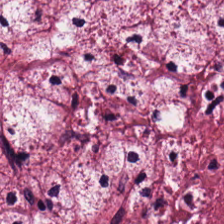0.5 µm/px. Brightfield microscopy. H&E-stained tissue section. This patch shows desmoplastic stroma.
